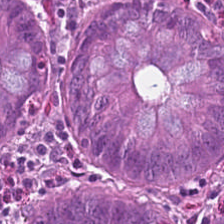Hematoxylin-and-eosin stained section · FFPE tissue section — This patch shows normal colonic mucosa.
